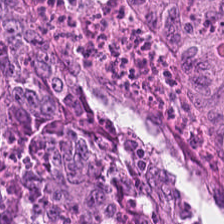H&E stain. 0.5 µm/px. FFPE tissue section. Tissue class — tumor epithelium.
